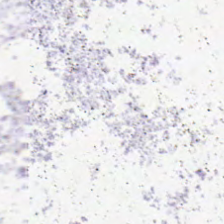Histology — background.
